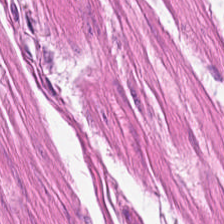{"tissue_type": "smooth-muscle tissue"}
